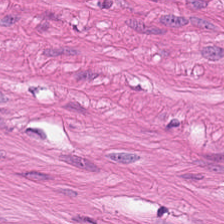This patch shows smooth-muscle tissue.
